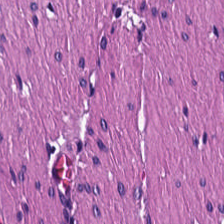Stain: H&E stain.
Resolution: 0.5 µm/px.
Classification: muscularis.
